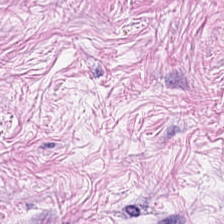Hematoxylin-and-eosin stained section. 20× equivalent magnification — Tissue type: cancer-associated stroma.
